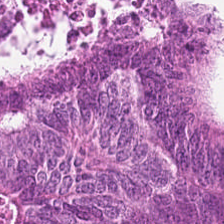Hematoxylin-and-eosin stained section.
Predominantly malignant epithelium.
